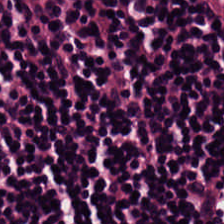H&E stain. 0.5 µm/px. WSI patch — Tissue class — lymphoid infiltrate.
